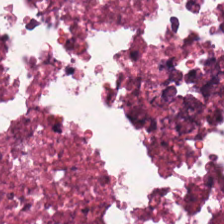Stain: H&E-stained tissue section.
Preparation: FFPE.
Tissue type: debris.
